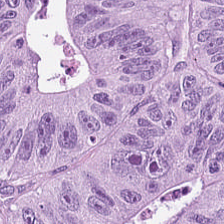Stain: H&E stain.
Preparation: formalin-fixed paraffin-embedded section.
Predominant tissue: malignant epithelium.
